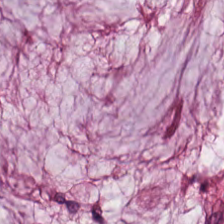Histology → mucin.
